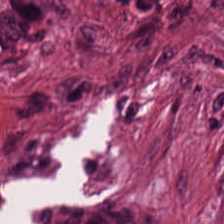0.5 µm per pixel; H&E stain.
Classification: cancer-associated stroma.
